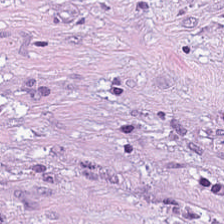H&E stain; 224×224 pixel tile. Tissue type: tumor-associated stroma.
